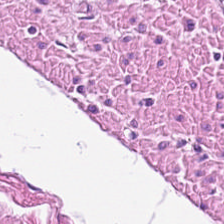0.5 µm/px; H&E-stained tissue section.
Predominantly smooth muscle.
